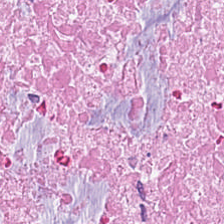Formalin-fixed paraffin-embedded section; hematoxylin-and-eosin stained section.
This patch shows necrotic debris.
